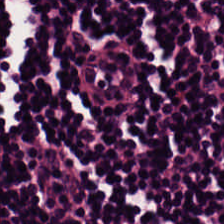H&E; 20× equivalent magnification; 224×224 pixel tile.
{"tissue_type": "lymphoid infiltrate"}
